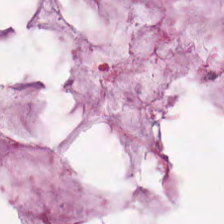224×224 px patch. H&E-stained tissue section — Predominantly extracellular mucin.
